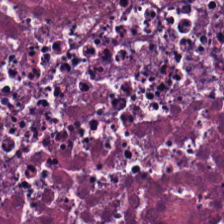The classification is cellular debris.
